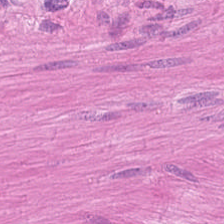0.5 µm per pixel; 224×224 px tile; hematoxylin and eosin.
This field is smooth-muscle tissue.
